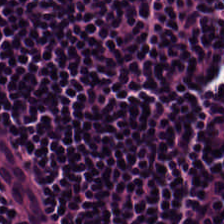Hematoxylin-and-eosin stained section.
The tissue here is lymphoid infiltrate.
